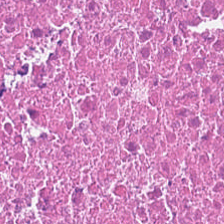H&E-stained section; the field shows necrotic debris.
